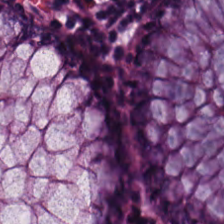The classification is non-neoplastic colon mucosa.
